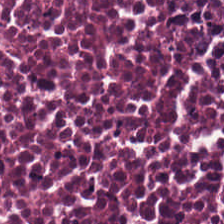Stain: H&E.
Predominant tissue: necrotic debris.
